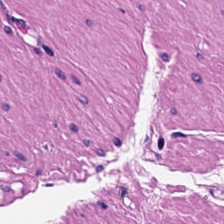This field is smooth-muscle tissue.
